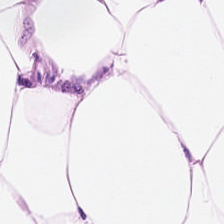Hematoxylin-and-eosin stained section · 20× equivalent magnification · brightfield microscopy — Predominantly fat tissue.
